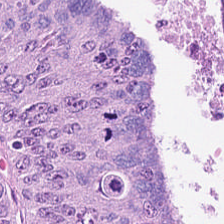Hematoxylin and eosin. The predominant tissue is malignant epithelium.
